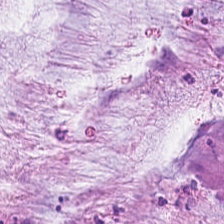H&E — extracellular mucin.
